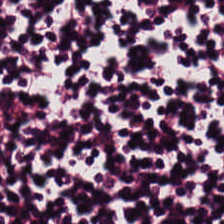H&E-stained tissue section. The tissue class is lymphocyte aggregate.
